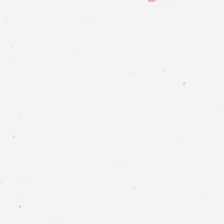Stain: H&E.
Preparation: formalin-fixed paraffin-embedded section.
Field content: background (no tissue).
